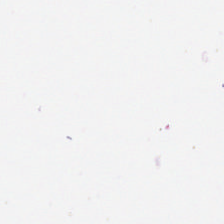Stain: hematoxylin-and-eosin stained section.
Preparation: FFPE.
Tile size: 224×224 pixel tile.
Classification: background.
